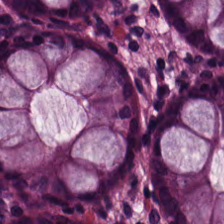Stain: H&E-stained tissue section.
Acquisition: whole-slide-image patch.
Tissue class: benign colonic mucosa.
